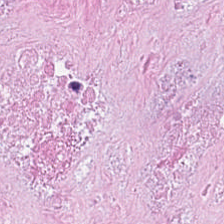H&E stain. Predominant tissue — debris.
